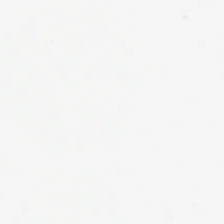Background — no tissue in this field.
